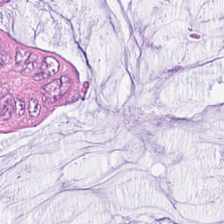H&E stain — Tissue type: mucin.
